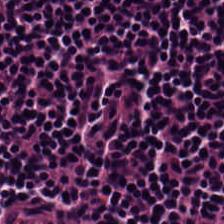H&E stain. Brightfield microscopy.
Q: What tissue type is shown here?
A: The field shows lymphocytic infiltrate.
